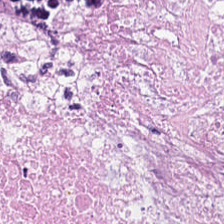Stain: H&E-stained tissue section.
Tissue type: necrotic debris.
